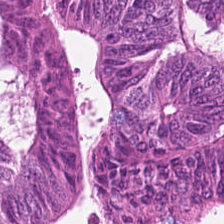H&E stain · 20× equivalent magnification. Predominantly colorectal adenocarcinoma epithelium.
